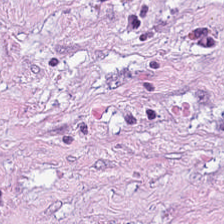Predominantly desmoplastic stroma.
